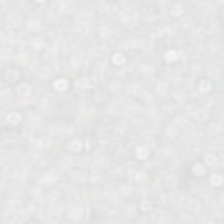20× equivalent magnification · hematoxylin and eosin.
Classification = empty background.
